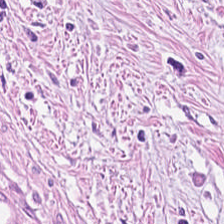Stain: H&E stain.
Acquisition: WSI patch.
Tissue type: desmoplastic stroma.
